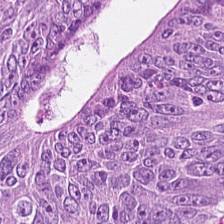Formalin-fixed paraffin-embedded section · 0.5 µm/px · hematoxylin-and-eosin stained section.
The tissue is adenocarcinoma.
